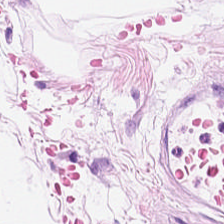H&E stain. This patch shows adipose tissue.
